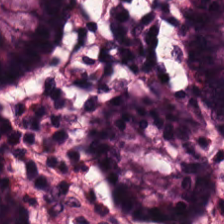H&E stain. This patch shows normal colon mucosa.
